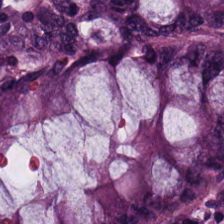Hematoxylin-and-eosin stained section — Q: Classify this patch.
A: It is normal colonic mucosa.
